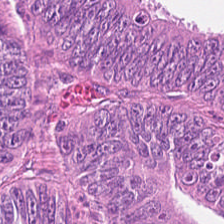Hematoxylin and eosin.
The tissue here is colorectal adenocarcinoma epithelium.
